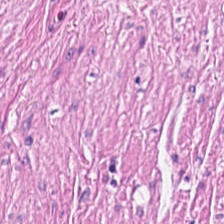H&E stain · formalin-fixed paraffin-embedded section · 20× equivalent magnification.
Showing smooth-muscle tissue.
